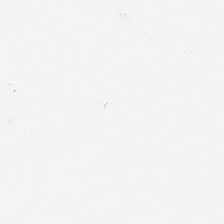Hematoxylin and eosin. Finding — empty background.
